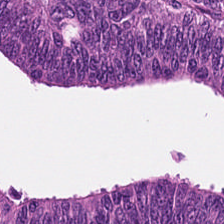H&E-stained tissue section.
Finding — colorectal adenocarcinoma epithelium.
